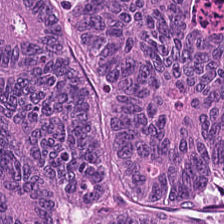Whole-slide-image patch · hematoxylin-and-eosin stained section · FFPE tissue section — Showing adenocarcinoma.
